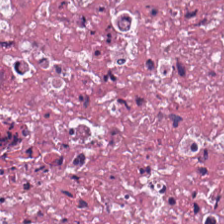H&E-stained tissue section.
Cellular debris.
